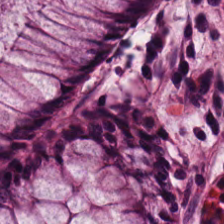Classification — normal colonic mucosa.
